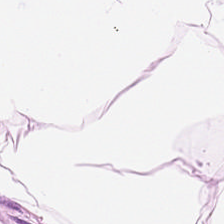H&E. Predominantly adipocytes.
